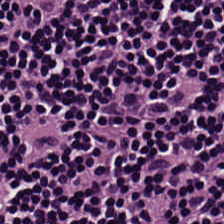Tissue type — lymphocytic infiltrate.
